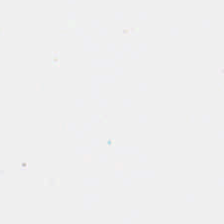H&E stain.
This patch shows no tissue.
